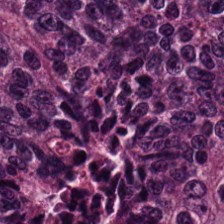H&E-stained tissue section.
Tissue type: adenocarcinoma.
